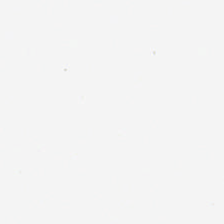20× equivalent magnification · H&E. Classification = empty background.
